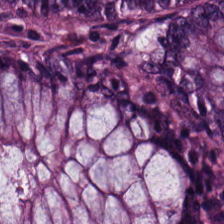Hematoxylin and eosin; FFPE.
Q: Classify this patch.
A: Benign colonic mucosa.
